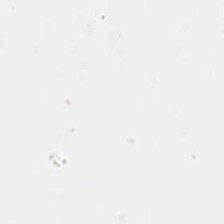Hematoxylin-and-eosin stained section · 0.5 µm/px · FFPE. {"content": "no tissue"}
